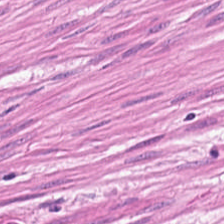0.5 microns per pixel. Brightfield. H&E stain. Classification — muscularis.
